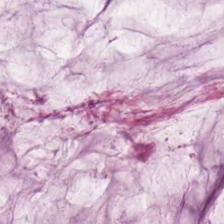20× equivalent magnification · H&E-stained tissue section. The tissue here is mucus.
